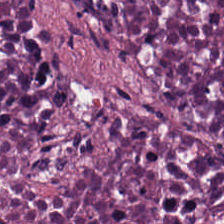H&E-stained section; the field shows necrotic debris.
